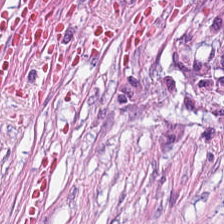This patch shows cancer-associated stroma.
